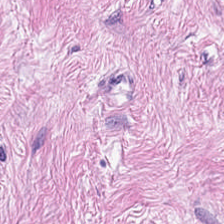H&E-stained tissue section. The tissue is cancer-associated stroma.
